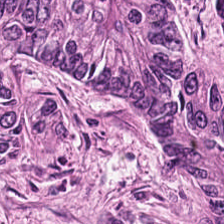H&E stain. Showing tumor epithelium.
